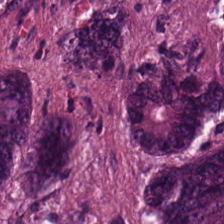Q: What is shown in this field?
A: Adenocarcinoma.
